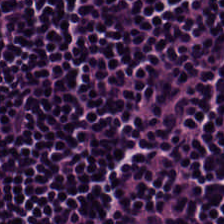Q: What is the predominant tissue type?
A: Lymphocytes.
